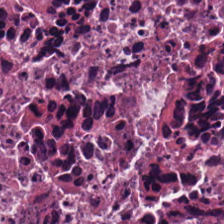Hematoxylin-and-eosin stained section — Impression — necrotic debris.
